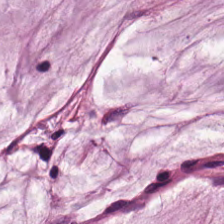Showing extracellular mucin.
